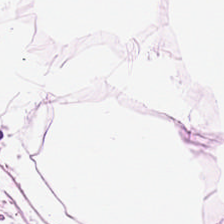FFPE tissue section · H&E — Q: What tissue type is shown here?
A: This is adipose.
